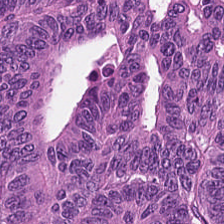WSI patch; H&E-stained tissue section.
Q: What does this patch show?
A: Colorectal adenocarcinoma epithelium.
